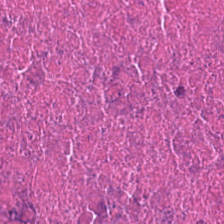Brightfield microscopy · 0.5 µm per pixel · hematoxylin-and-eosin stained section — This field is cellular debris.
